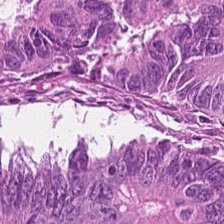Hematoxylin-and-eosin stained section — The tissue class is malignant epithelium.
